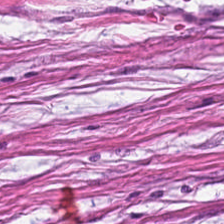H&E — The predominant tissue is cancer-associated stroma.
